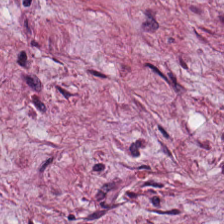The tissue here is tumor stroma.
